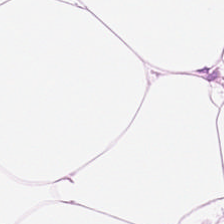Stain: H&E-stained tissue section.
Tissue type: fat tissue.
